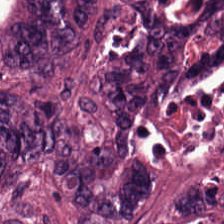H&E — Predominantly adenocarcinoma.
